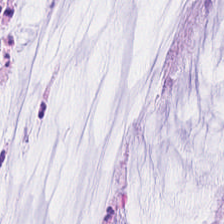Hematoxylin-and-eosin stained section.
{"tissue_type": "extracellular mucin"}
